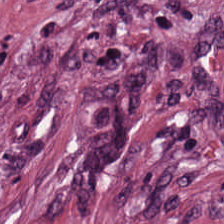Stain: H&E.
Predominant tissue: tumor-associated stroma.
